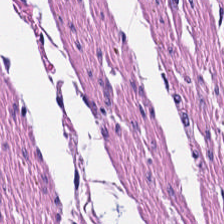H&E stain — Showing smooth muscle.
